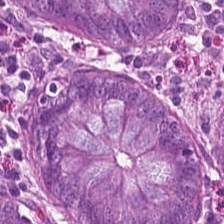H&E-stained tissue section. The predominant tissue is normal colonic mucosa.
